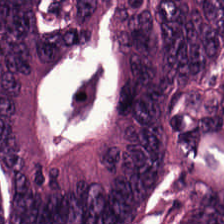Hematoxylin-and-eosin stained section — The tissue here is colorectal adenocarcinoma.
